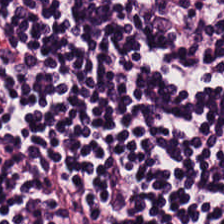Q: What is shown in this field?
A: It is lymphoid infiltrate.
